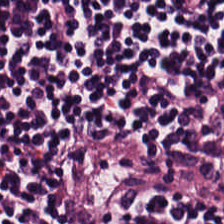H&E stain.
This field is lymphocytes.
